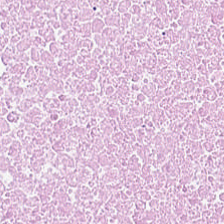FFPE tissue section. Hematoxylin and eosin.
This field is necrotic debris.
